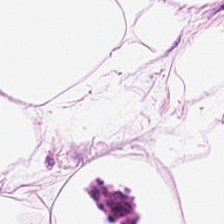Hematoxylin-and-eosin section: adipose tissue.
